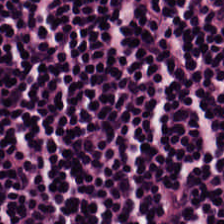Hematoxylin-and-eosin stained section. Brightfield. 224×224 pixel tile. Q: What is shown in this field?
A: It is lymphocytes.
